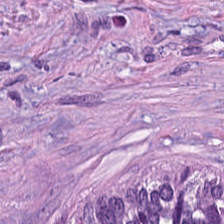Showing tumor-associated stroma.
